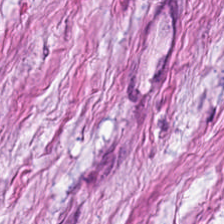Stain: H&E stain.
Classification: cancer-associated stroma.
